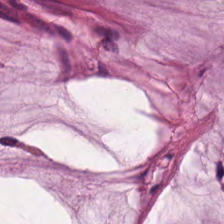This field is extracellular mucin.
